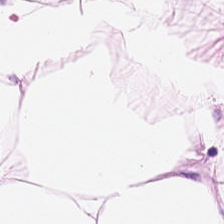224×224 px tile; hematoxylin-and-eosin stained section — Impression → adipose.
